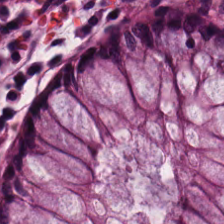H&E stain — Finding — normal colonic mucosa.
